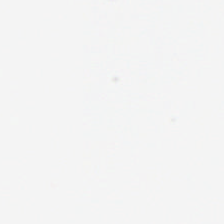Hematoxylin-and-eosin stained section; formalin-fixed paraffin-embedded section. Background.
